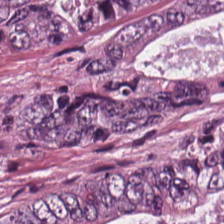H&E-stained tissue section showing colorectal adenocarcinoma epithelium.
